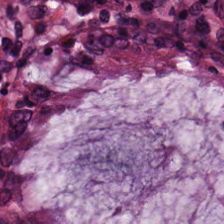H&E stain — Non-neoplastic colon mucosa.
